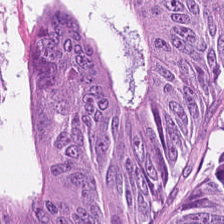Hematoxylin-and-eosin stained section. 20× equivalent magnification. Histology — colorectal adenocarcinoma epithelium.
